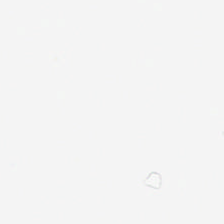H&E. Empty field — background (no tissue).
